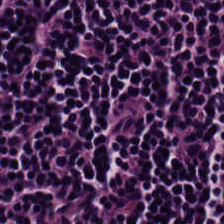Hematoxylin and eosin.
Histology — lymphocytic infiltrate.
